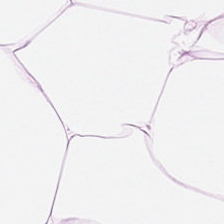H&E stain. 0.5 microns per pixel. {"tissue_type": "adipose tissue"}
